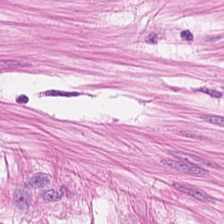Hematoxylin-and-eosin stained section; WSI patch. Predominant tissue: smooth muscle.
